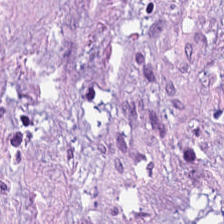H&E.
Tissue type: tumor stroma.
